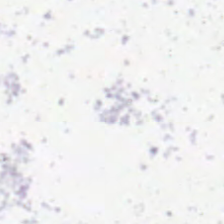Hematoxylin-and-eosin stained section · 224×224 px patch · formalin-fixed paraffin-embedded section.
Q: What is shown here?
A: Empty background.
